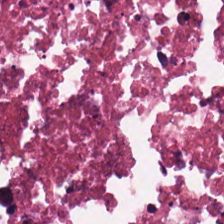Tissue type: necrotic debris.
